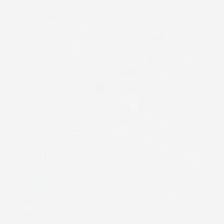Stain: H&E-stained tissue section.
Content: background (no tissue).
